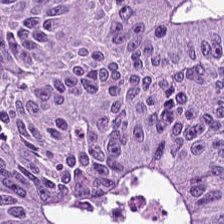Hematoxylin-and-eosin stained section — This field is colorectal adenocarcinoma.
